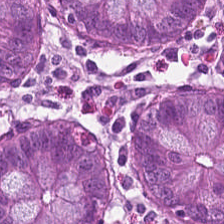Q: Classify this patch.
A: Benign colonic mucosa.
